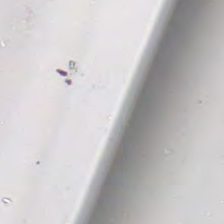Q: What is shown in this field?
A: No tissue.
